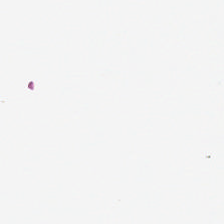224×224 pixel tile. Hematoxylin and eosin.
Content = background.
